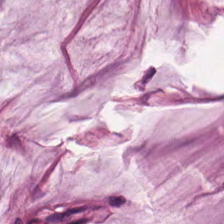Q: Classify this patch.
A: The field shows extracellular mucin.
